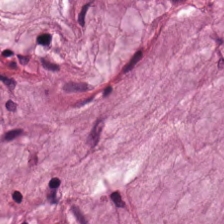H&E-stained tissue section. This field is mucus.
